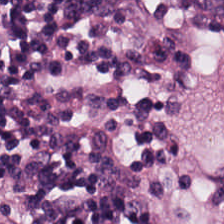H&E · whole-slide-image patch · 224×224 px patch. Q: What is shown here?
A: This is lymphocytes.
